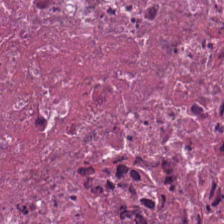224×224 pixel tile · FFPE · hematoxylin-and-eosin stained section.
Impression — cellular debris.
